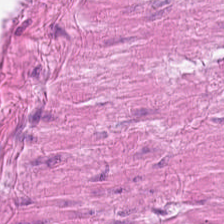Hematoxylin and eosin. The tissue here is smooth muscle.
